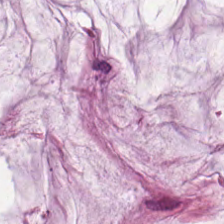Hematoxylin and eosin · FFPE — Finding → extracellular mucin.
